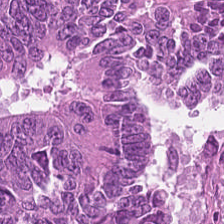H&E.
The tissue here is tumor epithelium.
